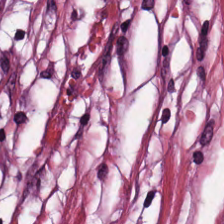Brightfield; H&E stain.
Tissue type: cancer-associated stroma.
